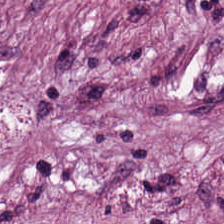Hematoxylin and eosin. The tissue here is desmoplastic stroma.
